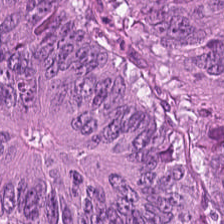224×224 px tile. H&E.
Showing adenocarcinoma.
